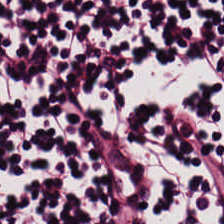Finding — lymphocytic infiltrate.
